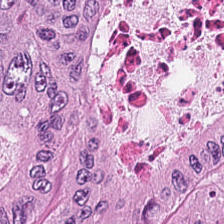{"tissue_type": "tumor epithelium"}
